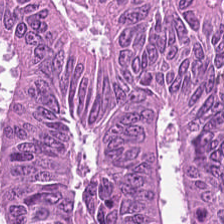224×224 px patch · H&E — Predominantly adenocarcinoma.
